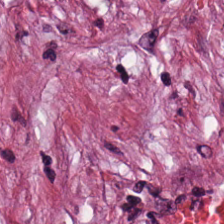Hematoxylin and eosin — The tissue is tumor-associated stroma.
